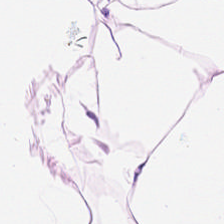Hematoxylin and eosin. Showing adipose.
